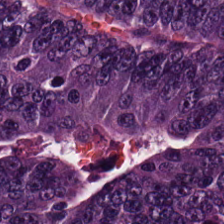Classification = malignant epithelium.
